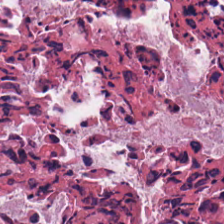Hematoxylin and eosin.
The predominant tissue is debris.
